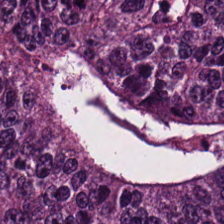Stain: H&E stain.
Tissue type: colorectal adenocarcinoma epithelium.
